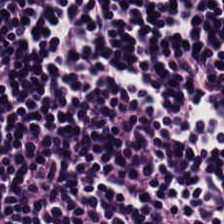Stain: H&E-stained tissue section.
Tissue class: lymphocyte aggregate.
